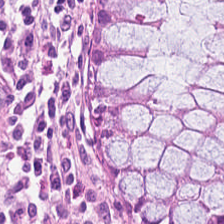Hematoxylin and eosin; FFPE — Q: What is shown in this field?
A: Normal colon mucosa.
